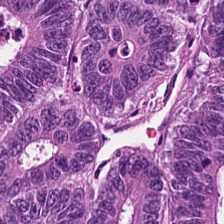Tissue type: colorectal adenocarcinoma epithelium.
